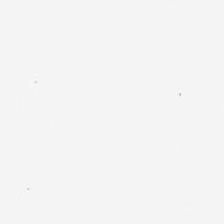H&E stain. {"content": "no tissue"}
